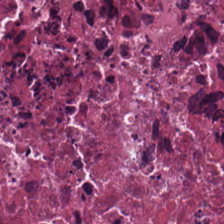H&E-stained tissue section.
Q: What is shown in this field?
A: The field shows cellular debris.
